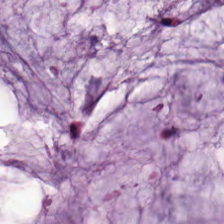H&E.
The tissue here is mucus.
